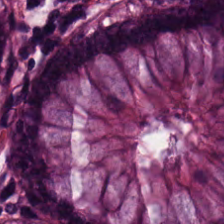H&E; 20× equivalent magnification; whole-slide-image patch — This patch shows benign colonic mucosa.
